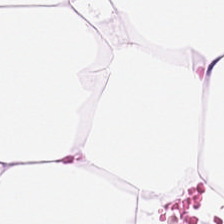Showing adipose.
